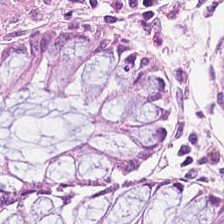Hematoxylin-and-eosin stained section.
The tissue here is non-neoplastic colon mucosa.
